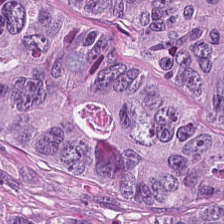224×224 px patch · H&E stain. Tissue — adenocarcinoma.
